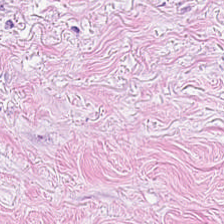224×224 px tile; hematoxylin-and-eosin stained section.
This field is tumor-associated stroma.
